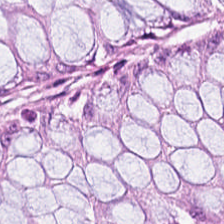Hematoxylin and eosin. Tissue type — normal colon mucosa.
